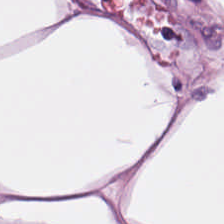224×224 px patch. H&E stain. 20× equivalent magnification — Tissue — adipose tissue.
